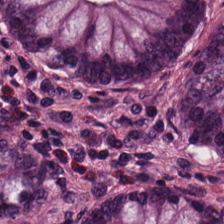H&E — Non-neoplastic colon mucosa.
